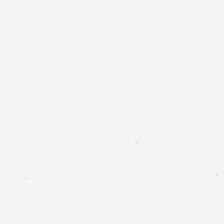Hematoxylin-and-eosin stained section.
Content: background (no tissue).
